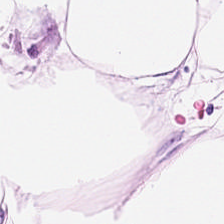Stain: H&E stain.
Tile size: 224×224 px patch.
Tissue class: adipose.
